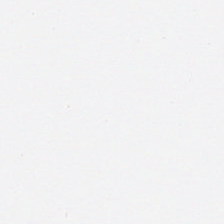H&E stain.
No tissue present; background only.
